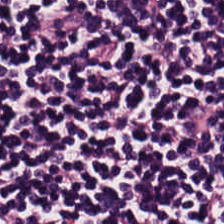224×224 pixel tile; 0.5 microns per pixel; H&E stain — Lymphoid infiltrate.
